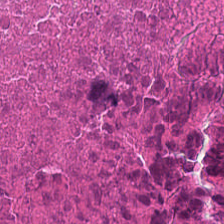H&E stain. This patch shows cellular debris.
